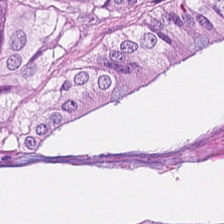Predominantly malignant epithelium.
